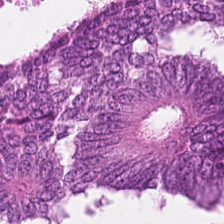H&E-stained tissue section — The predominant tissue is colorectal adenocarcinoma.
